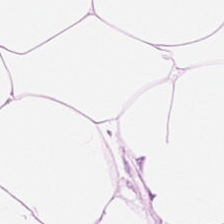Hematoxylin and eosin. Brightfield microscopy.
Q: What tissue is shown?
A: The field shows adipocytes.
